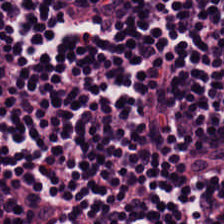This patch shows lymphoid infiltrate.
